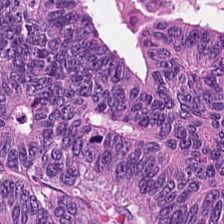H&E-stained tissue section. Q: What tissue type is shown here?
A: Colorectal adenocarcinoma.
